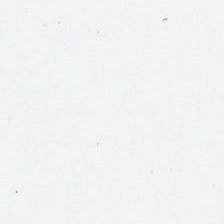224×224 pixel tile; hematoxylin and eosin — No tissue present; background only.
